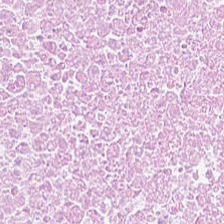H&E stain. 0.5 microns per pixel. FFPE tissue section.
Q: What tissue type is shown here?
A: Cellular debris.
